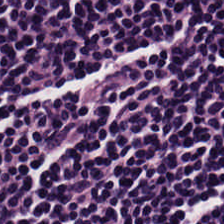The tissue is lymphocytes.
